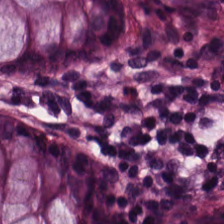H&E — Finding — normal colon mucosa.
